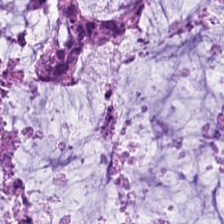H&E-stained tissue section. 0.5 µm/px. FFPE tissue section. Showing mucin.
